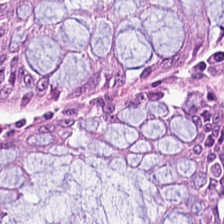Q: What is shown in this field?
A: Non-neoplastic colon mucosa.
